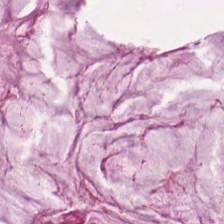H&E; 224×224 pixel tile.
Predominantly mucus.
